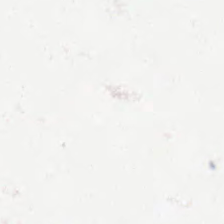H&E. WSI patch. Background — no tissue in this field.
